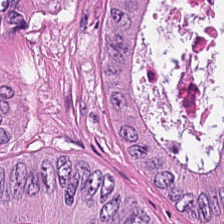H&E-stained tissue section; FFPE tissue section.
Q: What is the predominant tissue type?
A: This is colorectal adenocarcinoma epithelium.
